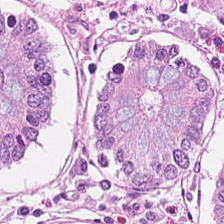FFPE · hematoxylin and eosin. Q: What type of tissue is this?
A: The field shows benign colonic mucosa.
